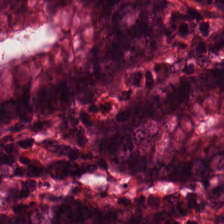Brightfield; H&E — This field is normal colon mucosa.
